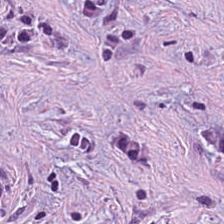Stain: H&E.
Resolution: 0.5 µm/px.
Tissue type: cancer-associated stroma.
